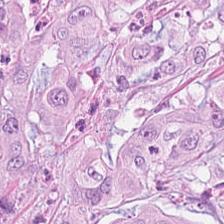H&E-stained tissue section. Predominant tissue: malignant epithelium.
